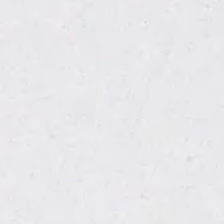Hematoxylin and eosin · 0.5 µm per pixel — This field is background (no tissue).
